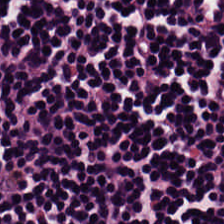Hematoxylin-and-eosin stained section.
The tissue here is lymphoid infiltrate.
